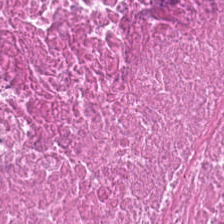WSI patch. Hematoxylin-and-eosin stained section — Tissue class: cellular debris.
